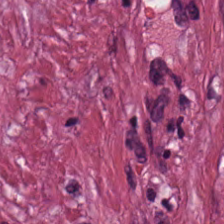H&E. Formalin-fixed paraffin-embedded section. The tissue here is tumor stroma.
